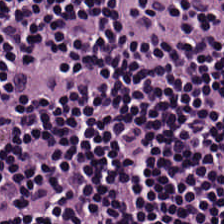Hematoxylin-and-eosin stained section.
Tissue type — lymphocytes.
